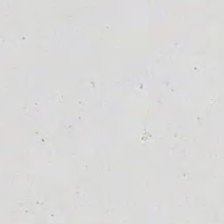H&E stain. 224×224 px tile.
Q: What is shown here?
A: This is background.
